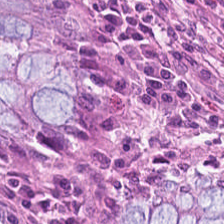H&E-stained tissue section — Tissue type = normal colon mucosa.
